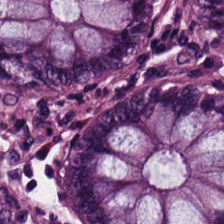Normal colonic mucosa.
